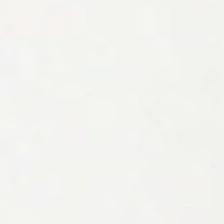H&E.
Classification: no tissue.
